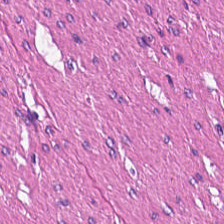Q: Identify the tissue.
A: This is smooth muscle.
